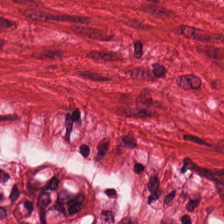H&E — Tissue class — muscularis.
